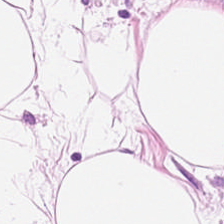Brightfield; hematoxylin and eosin; 0.5 microns per pixel — Tissue class: fat tissue.
